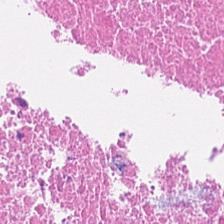Stain: H&E-stained tissue section.
Tile size: 224×224 px patch.
Predominant tissue: cellular debris.
